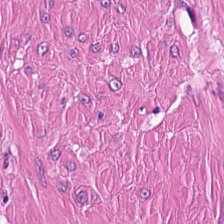20× equivalent magnification; H&E-stained tissue section. Muscularis.
